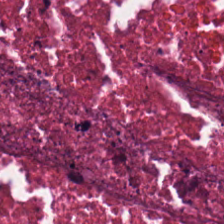H&E-stained tissue section; 0.5 µm/px.
Q: What is the predominant tissue type?
A: This is necrotic debris.
